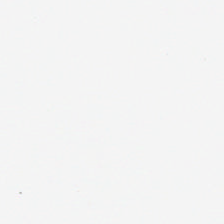Q: What does this patch show?
A: It is background (no tissue).
